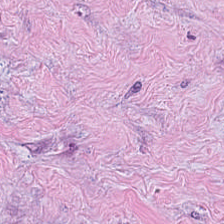Hematoxylin and eosin — Impression → tumor-associated stroma.
